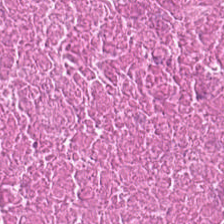H&E. FFPE — Q: What type of tissue is this?
A: The field shows cellular debris.
